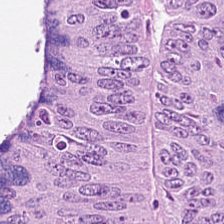Predominant tissue — adenocarcinoma.
